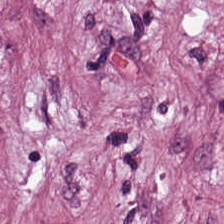H&E-stained tissue section showing desmoplastic stroma.
